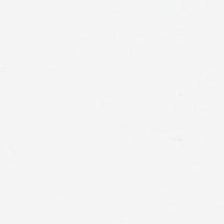20× equivalent magnification; hematoxylin and eosin — Q: Classify this patch.
A: This is no tissue.
